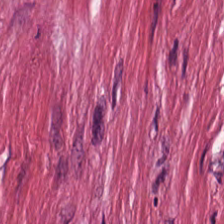Q: What is the predominant tissue type?
A: It is tumor-associated stroma.
